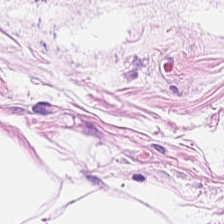H&E.
Tissue type: adipose tissue.
